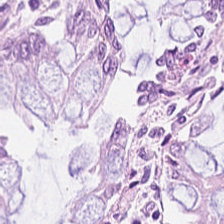H&E-stained tissue section showing non-neoplastic colon mucosa.
